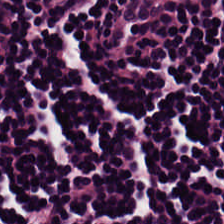H&E-stained tissue section · 224×224 px patch — Q: What is the predominant tissue type?
A: It is lymphocytes.
